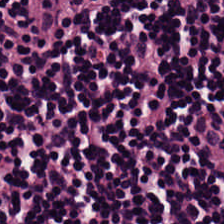224×224 pixel tile · hematoxylin and eosin · 20× equivalent magnification. {"tissue_type": "lymphocytes"}
